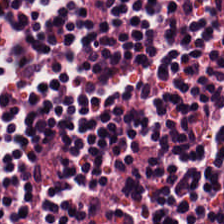H&E; FFPE; 224×224 pixel tile. The tissue class is lymphoid infiltrate.
